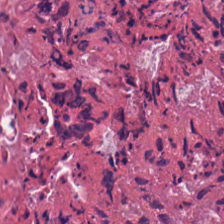H&E; 224×224 pixel tile; 0.5 µm per pixel. Tissue type = cellular debris.
